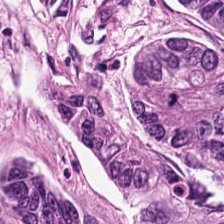Stain: hematoxylin and eosin.
Tissue type: malignant epithelium.
